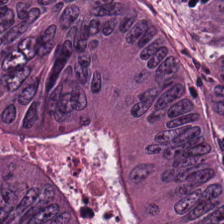Hematoxylin and eosin. Impression — colorectal adenocarcinoma epithelium.
